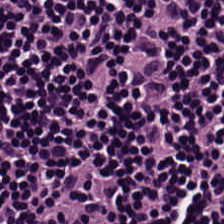The tissue is lymphocytes.
